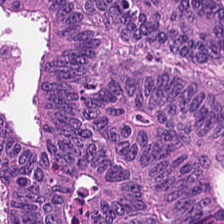Hematoxylin and eosin; FFPE tissue section; 224×224 px patch.
Q: What is shown here?
A: It is adenocarcinoma.
